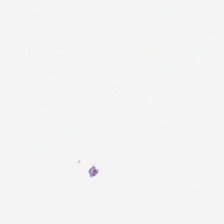Hematoxylin and eosin; 224×224 px tile. Classification — background (no tissue).
